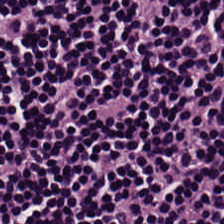H&E. Formalin-fixed paraffin-embedded section — Histology — lymphocyte aggregate.
